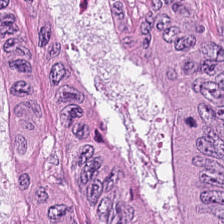H&E. The predominant tissue is adenocarcinoma.
